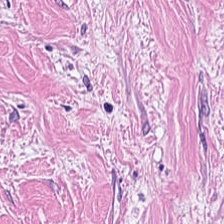{"tissue_type": "tumor-associated stroma"}
